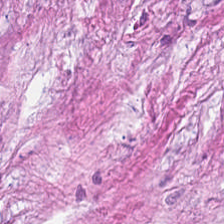H&E stain · FFPE tissue section · 20× equivalent magnification.
Cancer-associated stroma.
